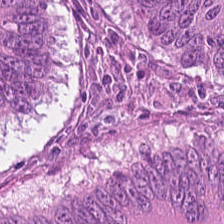Hematoxylin-and-eosin section: colorectal adenocarcinoma.
